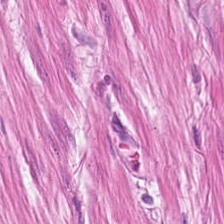H&E stain — Showing smooth muscle.
